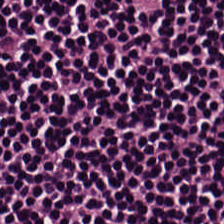H&E. Showing lymphocytes.
